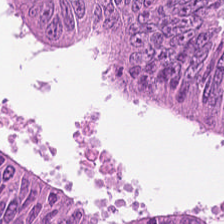Finding → colorectal adenocarcinoma.
